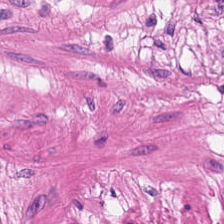Hematoxylin and eosin.
Showing muscularis.
